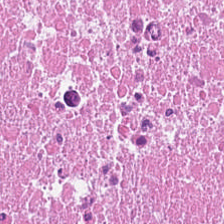Stain: hematoxylin and eosin.
Tissue class: cellular debris.
